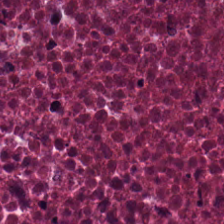FFPE tissue section · hematoxylin-and-eosin stained section — Showing necrotic debris.
